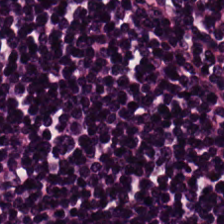Hematoxylin-and-eosin stained section. Brightfield microscopy.
Tissue — lymphocyte aggregate.
